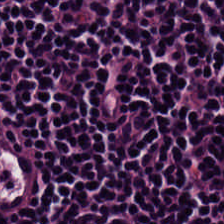H&E stain; FFPE tissue section; brightfield. Predominant tissue: lymphoid infiltrate.
